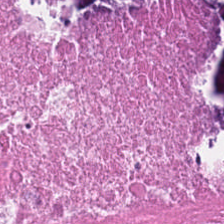Hematoxylin-and-eosin stained section — Cellular debris.
